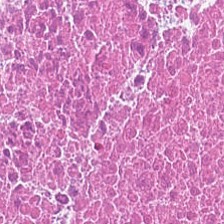Hematoxylin-and-eosin stained section. Tissue type — cellular debris.
